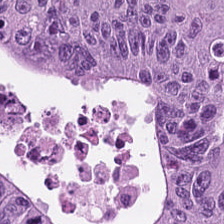224×224 px patch. H&E-stained tissue section.
Q: What does this patch show?
A: The field shows adenocarcinoma.
